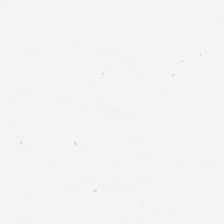Brightfield; 0.5 µm/px; hematoxylin and eosin. Finding → background.
